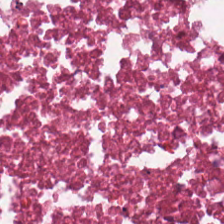H&E stain; brightfield; 0.5 µm/px — Impression — necrotic debris.
